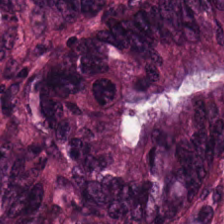Stain: H&E stain.
Classification: tumor epithelium.
